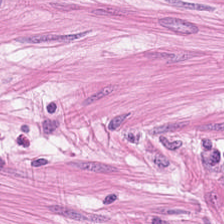Brightfield. Hematoxylin and eosin. FFPE tissue section.
Predominantly smooth-muscle tissue.
